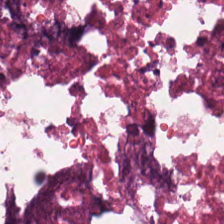H&E-stained tissue section. The tissue here is debris.
